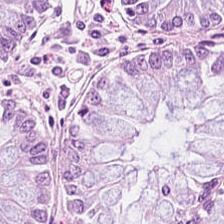H&E-stained tissue section.
Tissue type: normal colonic mucosa.
